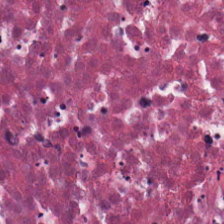H&E stain.
Tissue class: debris.
